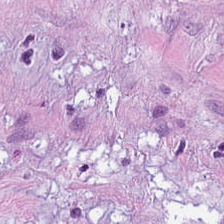H&E stain · FFPE tissue section. Q: What does this patch show?
A: This is desmoplastic stroma.
